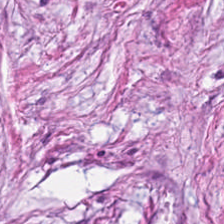Stain: H&E.
Preparation: FFPE tissue section.
Resolution: 0.5 µm per pixel.
Predominant tissue: cancer-associated stroma.
